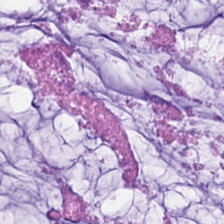Hematoxylin-and-eosin section: mucin.
